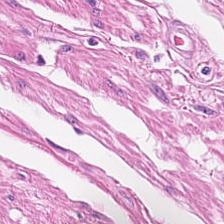H&E. Tissue = muscularis.
